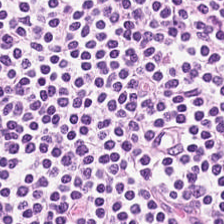H&E-stained tissue section showing lymphocytes.
